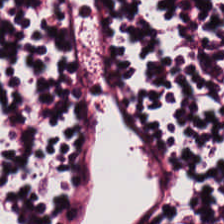Hematoxylin-and-eosin stained section — Q: What tissue is shown?
A: It is lymphocytic infiltrate.
